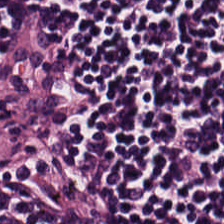Stain: H&E.
Classification: lymphocytic infiltrate.
